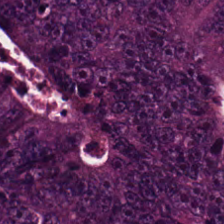H&E patch showing adenocarcinoma.
